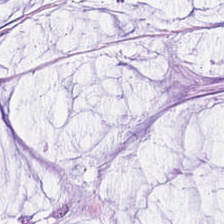Hematoxylin-and-eosin stained section. Predominantly mucin.
